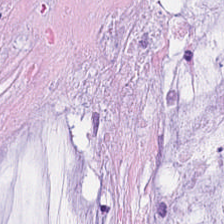Whole-slide-image patch; H&E stain. Showing mucus.
